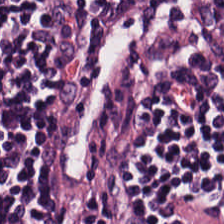Q: Identify the tissue.
A: The field shows lymphocytes.
